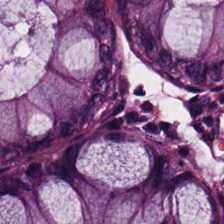H&E stain.
Q: What type of tissue is this?
A: Normal colonic mucosa.
